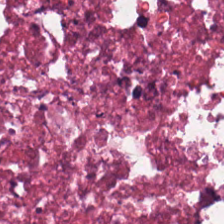Hematoxylin and eosin. Predominantly debris.
